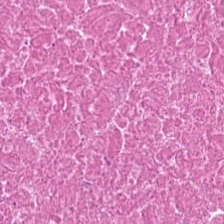Brightfield. 224×224 px patch. Hematoxylin-and-eosin stained section. Q: What tissue is shown?
A: This is debris.
